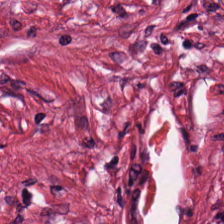Tissue class = tumor-associated stroma.
